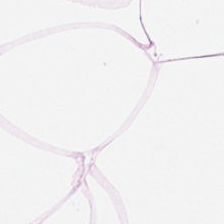Hematoxylin and eosin. Tissue class = adipocytes.
